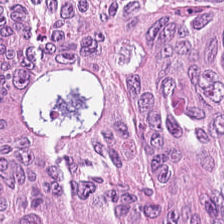The tissue is adenocarcinoma.
